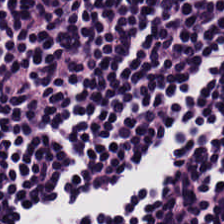Hematoxylin-and-eosin stained section. This field is lymphocytes.
